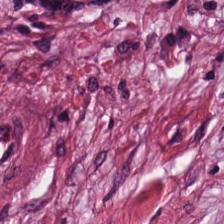Stain: H&E.
Tissue class: desmoplastic stroma.
